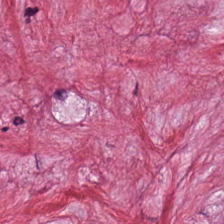Finding — cancer-associated stroma.
